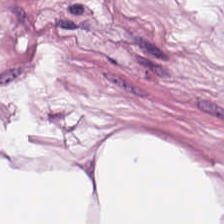Q: What type of tissue is this?
A: This is fat tissue.
